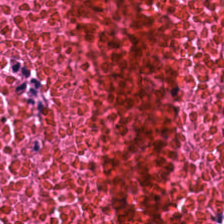Hematoxylin-and-eosin stained section — The predominant tissue is cellular debris.
